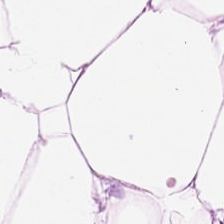H&E.
Adipocytes.
